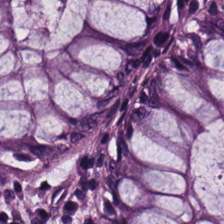Hematoxylin-and-eosin stained section.
Q: What tissue is shown?
A: This is normal colonic mucosa.
